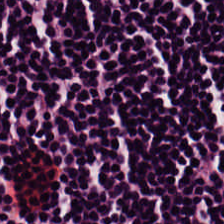Stain: H&E-stained tissue section.
Resolution: 0.5 µm/px.
Tissue class: lymphoid infiltrate.
